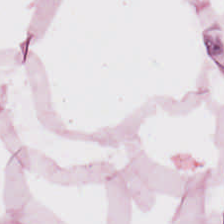Hematoxylin-and-eosin stained section; 0.5 microns per pixel.
Q: Identify the tissue.
A: This is fat tissue.
